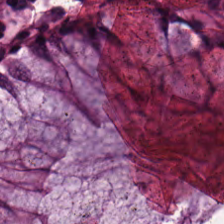H&E-stained tissue section.
Q: Classify this patch.
A: Normal colon mucosa.
